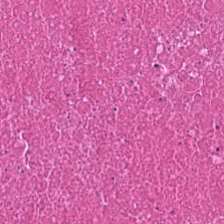Hematoxylin and eosin.
Predominant tissue = debris.
